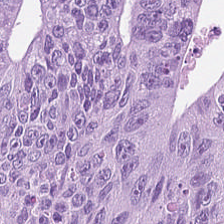WSI patch. Hematoxylin-and-eosin stained section.
Finding → colorectal adenocarcinoma epithelium.
